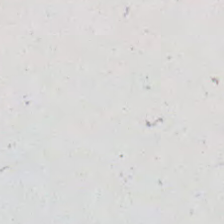H&E stain. FFPE. Empty field — no tissue.
